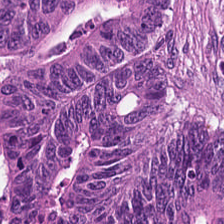H&E-stained tissue section.
Tissue — colorectal adenocarcinoma epithelium.
